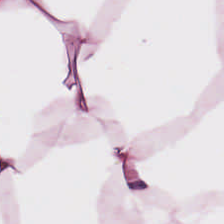Hematoxylin-and-eosin stained section — {"tissue_type": "adipose tissue"}
